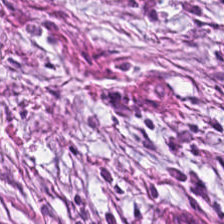H&E · 0.5 microns per pixel.
Q: What is shown here?
A: This is tumor-associated stroma.
